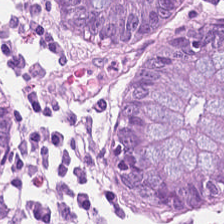Q: What is shown in this field?
A: This is benign colonic mucosa.
